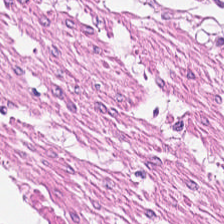Showing smooth-muscle tissue.
